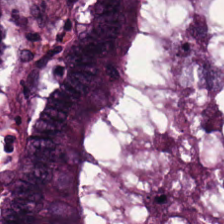Stain: H&E stain.
Predominant tissue: tumor epithelium.
